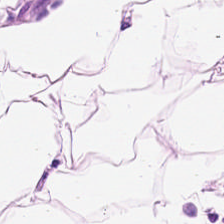H&E. 224×224 pixel tile.
Tissue class = fat tissue.
